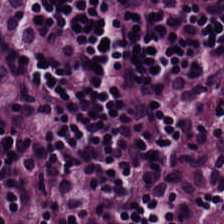Showing lymphocytes.
